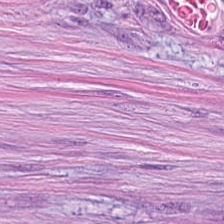WSI patch · H&E stain. The tissue here is cancer-associated stroma.
